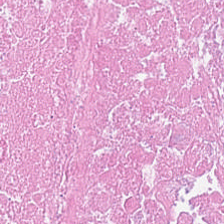Stain: H&E stain.
Predominant tissue: debris.
